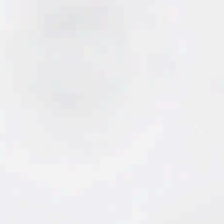H&E — Q: What does this patch show?
A: It is background.
